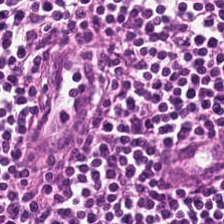FFPE · hematoxylin and eosin.
Lymphocyte aggregate.
